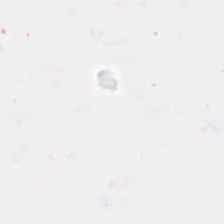Content — background.
